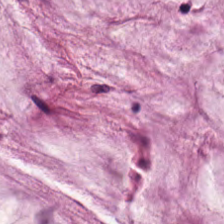H&E — The classification is mucin.
